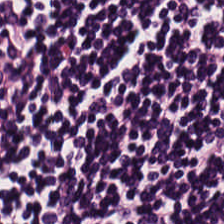Q: What is shown in this field?
A: It is lymphocyte aggregate.
